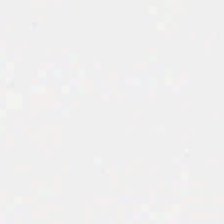H&E stain. Brightfield microscopy — Background.
